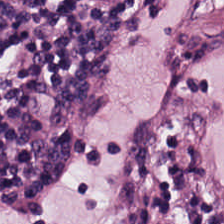H&E stain.
{"tissue_type": "lymphocytes"}
